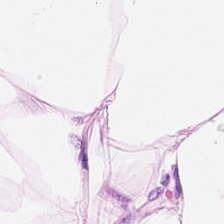Stain: hematoxylin-and-eosin stained section.
Tissue class: adipose.
